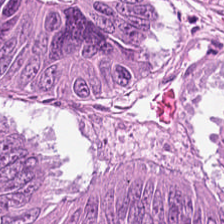H&E; FFPE; 0.5 µm/px.
The predominant tissue is malignant epithelium.
